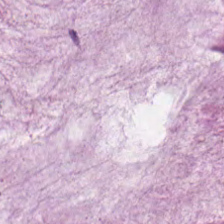Hematoxylin-and-eosin stained section — Mucin.
